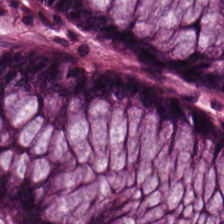Stain: H&E stain.
Tile size: 224×224 px patch.
Tissue: non-neoplastic colon mucosa.
